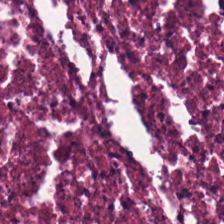Q: What type of tissue is this?
A: This is necrotic debris.
